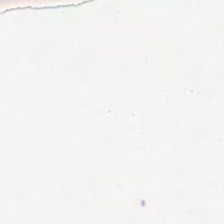Background — no tissue in this field.
